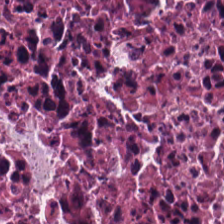Q: What is shown in this field?
A: It is cellular debris.
